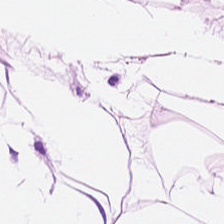Stain: H&E stain.
Acquisition: whole-slide-image patch.
Preparation: FFPE.
Tissue type: fat tissue.
